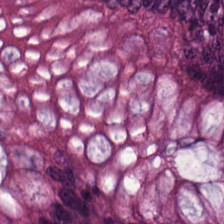224×224 pixel tile; H&E. This patch shows benign colonic mucosa.
